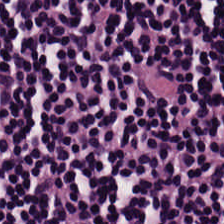Stain: H&E.
Tissue class: lymphoid infiltrate.
